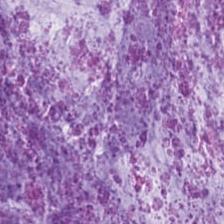H&E-stained tissue section showing extracellular mucin.
